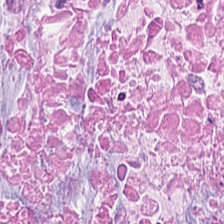H&E-stained tissue section. 0.5 µm per pixel — The tissue class is debris.
